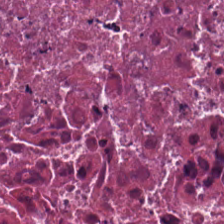Hematoxylin and eosin. This patch shows necrotic debris.
